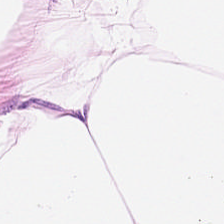H&E-stained tissue section — Tissue = adipocytes.
